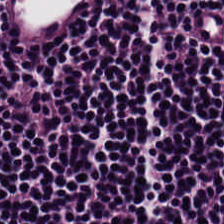H&E. FFPE tissue section. 224×224 pixel tile. Q: What is shown here?
A: The field shows lymphocytes.
